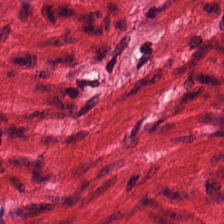Impression — muscularis.
